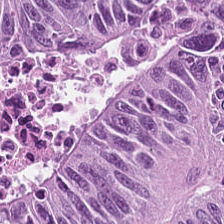Hematoxylin and eosin. The tissue here is tumor epithelium.
